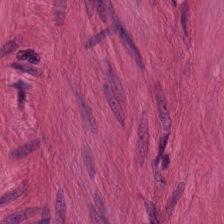H&E stain. The tissue class is smooth muscle.
